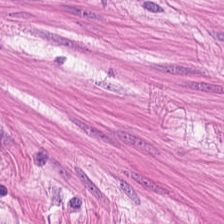Stain: hematoxylin-and-eosin stained section.
Tile size: 224×224 px tile.
Tissue class: smooth-muscle tissue.
